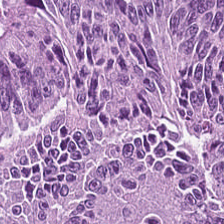Hematoxylin-and-eosin stained section. The tissue here is adenocarcinoma.
